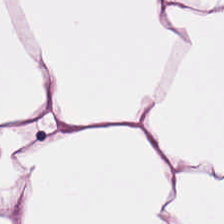Stain: H&E-stained tissue section.
Tissue type: adipocytes.
